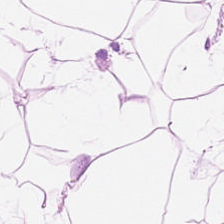20× equivalent magnification; H&E stain. Tissue type: adipocytes.
